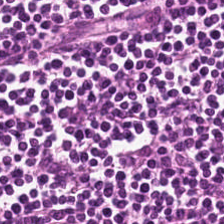Classification — lymphoid infiltrate.
